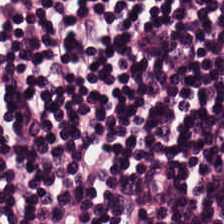H&E. 0.5 microns per pixel. FFPE tissue section.
Impression — lymphoid infiltrate.
